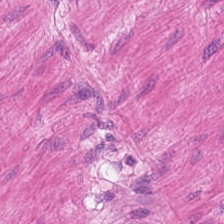Hematoxylin-and-eosin stained section. Classification: smooth muscle.
